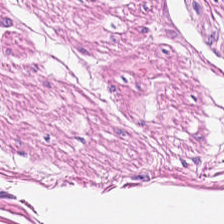Tissue type — smooth-muscle tissue.
